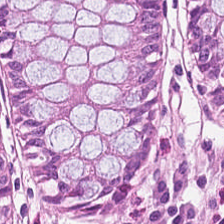H&E; 224×224 px patch; WSI patch — Q: What is the predominant tissue type?
A: The field shows normal colonic mucosa.
